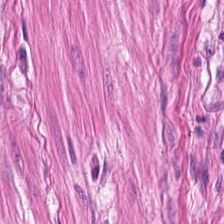This field is smooth-muscle tissue.
